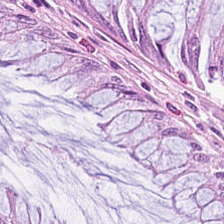Hematoxylin and eosin · FFPE.
Showing benign colonic mucosa.
